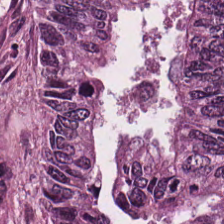H&E — malignant epithelium.
